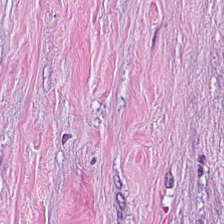H&E stain; 224×224 px patch. Q: What does this patch show?
A: Cancer-associated stroma.
